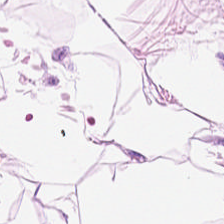Q: What is shown in this field?
A: It is fat tissue.
